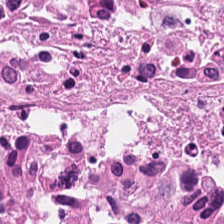H&E — The predominant tissue is cellular debris.
